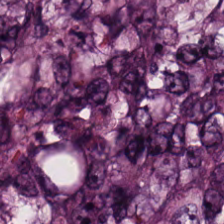Stain: hematoxylin and eosin.
Resolution: 20× equivalent magnification.
Acquisition: brightfield.
Classification: malignant epithelium.
